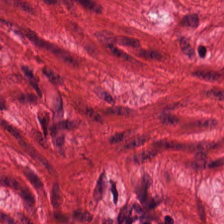H&E stain — {"tissue_type": "smooth-muscle tissue"}
